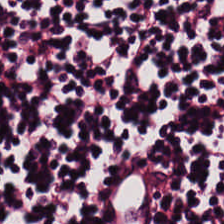224×224 px tile · H&E — Lymphocytes.
